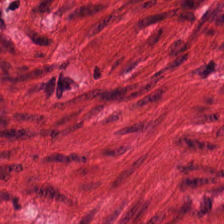Stain: H&E-stained tissue section.
Predominant tissue: muscularis.
